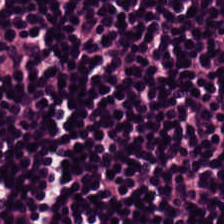{"tissue_type": "lymphoid infiltrate"}
